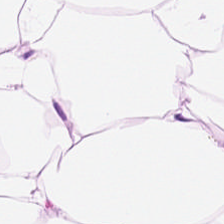Stain: hematoxylin and eosin.
Preparation: formalin-fixed paraffin-embedded section.
Tissue type: adipose tissue.
